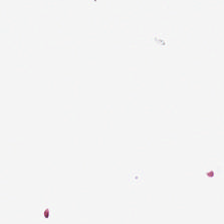Hematoxylin-and-eosin stained section. Histology — empty background.
